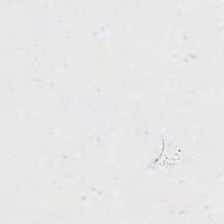Brightfield microscopy; H&E; 0.5 µm/px.
No tissue present; background only.
